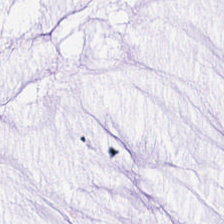{"tissue_type": "mucin"}
